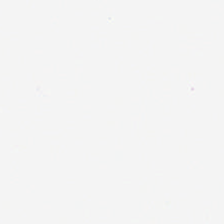20× equivalent magnification · H&E-stained tissue section. Content = background.
